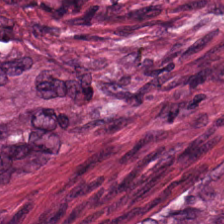The tissue here is tumor-associated stroma.
